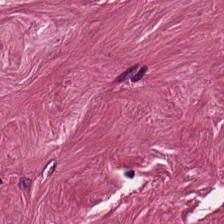H&E-stained section; the field shows tumor-associated stroma.
